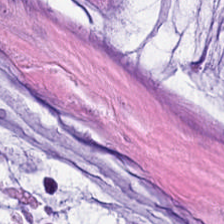H&E stain. The tissue is extracellular mucin.
